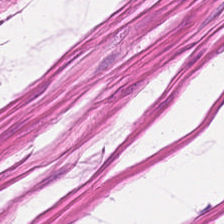Histology — smooth-muscle tissue.
